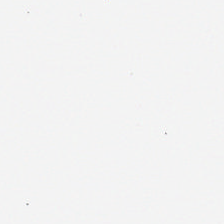Stain: H&E.
Resolution: 0.5 microns per pixel.
Content: background (no tissue).
